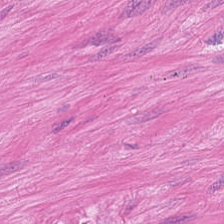H&E-stained tissue section; FFPE. Histology — smooth muscle.
